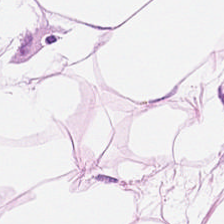Hematoxylin and eosin.
Q: What tissue is shown?
A: This is fat tissue.
